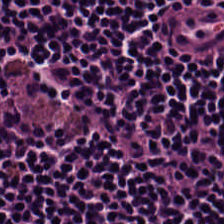Hematoxylin and eosin · FFPE tissue section. Predominantly lymphocytic infiltrate.
